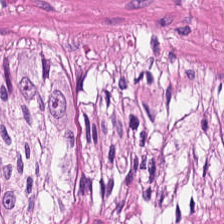Tissue class = smooth-muscle tissue.
